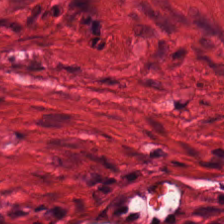Hematoxylin-and-eosin stained section · whole-slide-image patch. The tissue class is smooth muscle.
